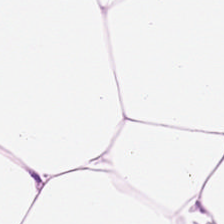Hematoxylin and eosin.
Q: Classify this patch.
A: Adipose.
